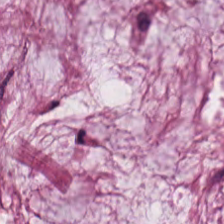H&E-stained tissue section. Predominantly extracellular mucin.
